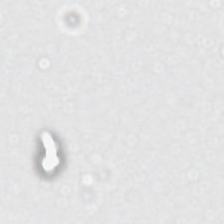H&E. Field content: background.
